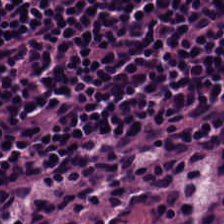20× equivalent magnification. FFPE. Hematoxylin and eosin — This patch shows lymphoid infiltrate.
